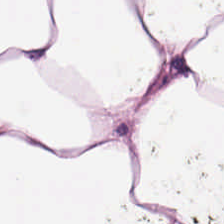Hematoxylin and eosin.
Predominant tissue = fat tissue.
